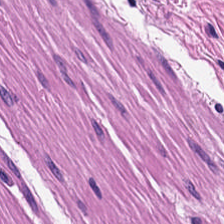H&E stain — {"tissue_type": "muscularis"}
